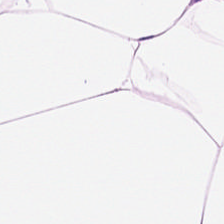Hematoxylin and eosin — {"tissue_type": "fat tissue"}
